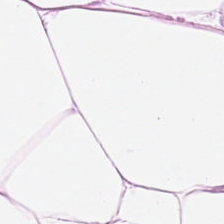Tissue type: adipocytes.
